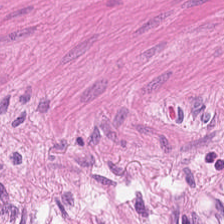H&E stain. This field is muscularis.
